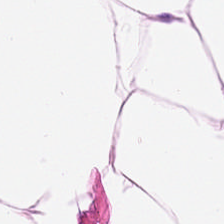Tissue = adipose tissue.
